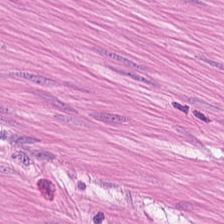Hematoxylin and eosin — Tissue class: smooth muscle.
